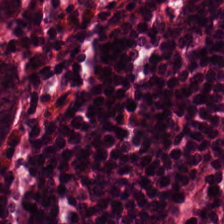0.5 microns per pixel · H&E. {"tissue_type": "normal colonic mucosa"}
